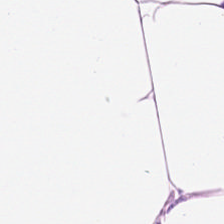Predominantly fat tissue.
